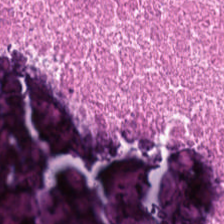Hematoxylin and eosin — The tissue here is debris.
